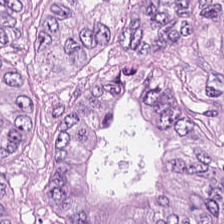H&E; brightfield microscopy; formalin-fixed paraffin-embedded section.
Classification = adenocarcinoma.
